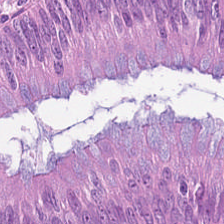Predominantly adenocarcinoma.
